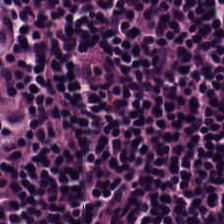Brightfield microscopy; H&E stain. Showing lymphocytes.
